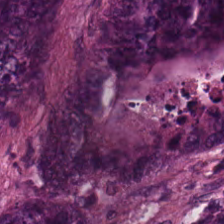Hematoxylin-and-eosin stained section — Histology — malignant epithelium.
